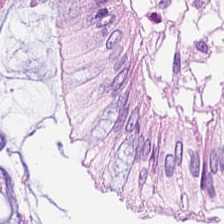Stain: H&E-stained tissue section.
Resolution: 0.5 µm/px.
Tile size: 224×224 pixel tile.
Tissue type: non-neoplastic colon mucosa.
